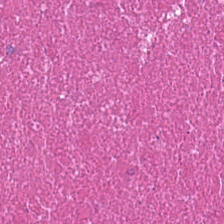Hematoxylin-and-eosin section: debris.
